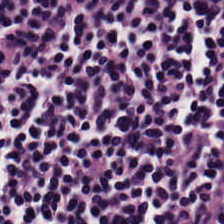H&E-stained tissue section. Q: What type of tissue is this?
A: The field shows lymphocyte aggregate.
